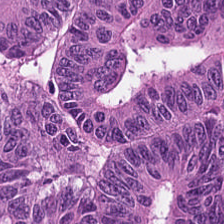Hematoxylin and eosin — Q: What is shown in this field?
A: The field shows tumor epithelium.
